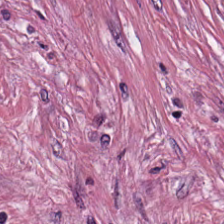Stain: H&E-stained tissue section.
Preparation: FFPE.
Classification: desmoplastic stroma.
